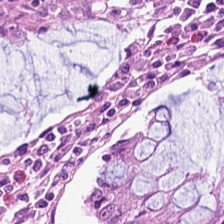H&E-stained tissue section · whole-slide-image patch.
Q: What is shown here?
A: This is non-neoplastic colon mucosa.
